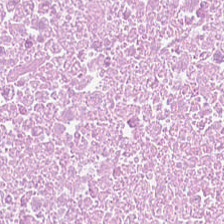Stain: hematoxylin-and-eosin stained section.
Tile size: 224×224 px tile.
Acquisition: WSI patch.
Tissue: debris.
